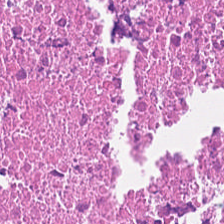The tissue is necrotic debris.
